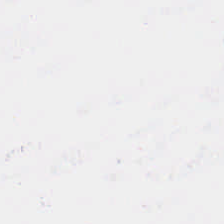Q: What does this patch show?
A: The field shows background (no tissue).
